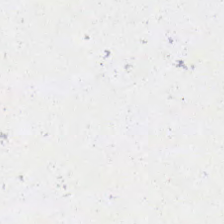Q: Classify this patch.
A: This is background.
